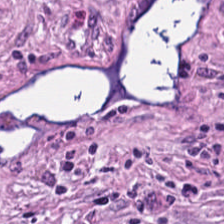Stain: H&E.
Predominant tissue: tumor stroma.
